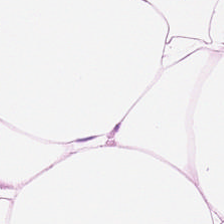Hematoxylin and eosin — Predominant tissue — fat tissue.
